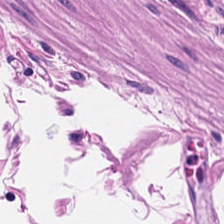This patch shows smooth-muscle tissue.
